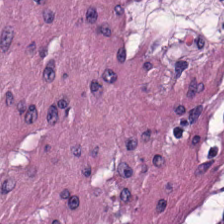Q: What tissue is shown?
A: Smooth-muscle tissue.
